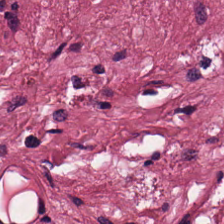WSI patch · H&E-stained tissue section · FFPE.
Q: What is the predominant tissue type?
A: The field shows tumor stroma.
